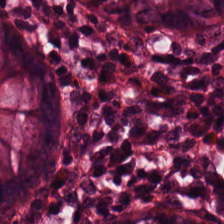The tissue here is non-neoplastic colon mucosa.
